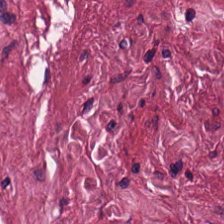H&E-stained tissue section.
Impression — tumor stroma.
